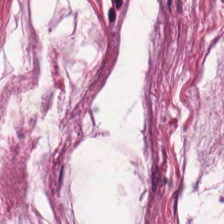The tissue here is extracellular mucin.
